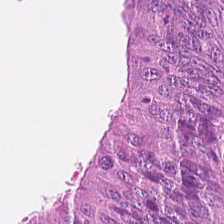WSI patch. 224×224 px tile. H&E stain — Predominant tissue: colorectal adenocarcinoma.
